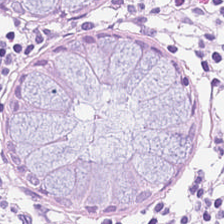Hematoxylin-and-eosin stained section.
{"tissue_type": "normal colon mucosa"}
